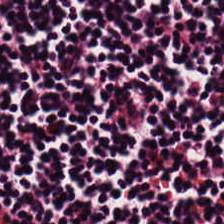Tissue class = lymphocyte aggregate.
